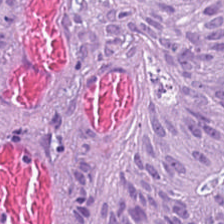H&E-stained tissue section · brightfield.
Q: What does this patch show?
A: Tumor epithelium.
